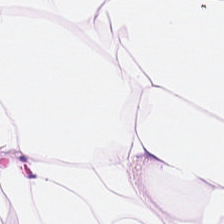0.5 µm per pixel; hematoxylin and eosin. Predominantly adipocytes.
